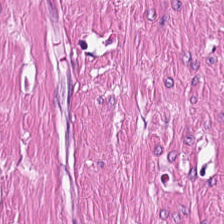H&E · whole-slide-image patch — Q: What tissue is shown?
A: The field shows smooth muscle.
